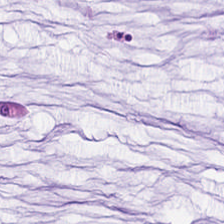Stain: H&E-stained tissue section.
Tissue type: extracellular mucin.
